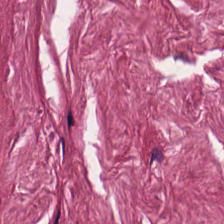Hematoxylin-and-eosin stained section. The tissue here is tumor-associated stroma.
